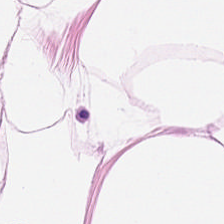H&E-stained tissue section — Finding — adipocytes.
